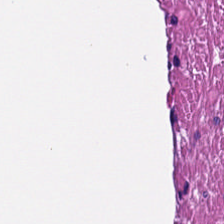Hematoxylin and eosin — Q: What tissue is shown?
A: It is smooth-muscle tissue.
